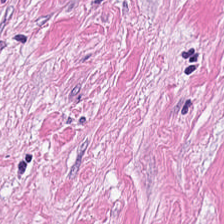Hematoxylin-and-eosin stained section.
Q: What tissue type is shown here?
A: It is tumor-associated stroma.
